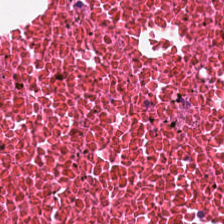H&E. Tissue: debris.
